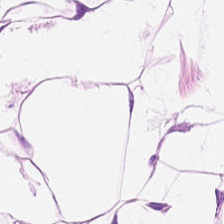Stain: hematoxylin-and-eosin stained section.
Predominant tissue: adipose tissue.
